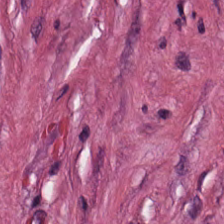Hematoxylin-and-eosin stained section. Showing tumor-associated stroma.
